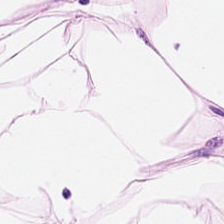Hematoxylin-and-eosin stained section. This field is adipose tissue.
